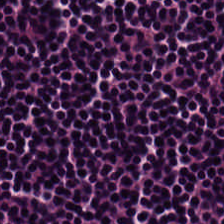Hematoxylin and eosin. The classification is lymphocytic infiltrate.
